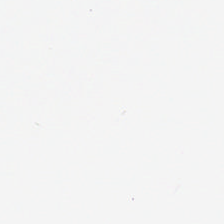H&E stain — Empty field — background (no tissue).
